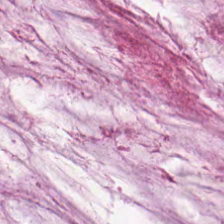Hematoxylin and eosin — Predominant tissue — mucin.
